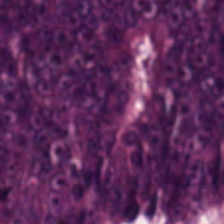224×224 px tile; H&E. Histology — adenocarcinoma.
